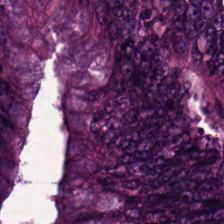0.5 µm/px; hematoxylin-and-eosin stained section. This patch shows adenocarcinoma.
